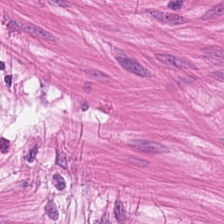224×224 pixel tile. Hematoxylin-and-eosin stained section.
The tissue type is muscularis.
